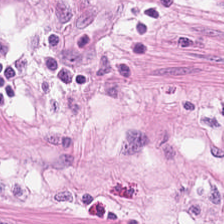Stain: H&E-stained tissue section.
Predominant tissue: muscularis.
